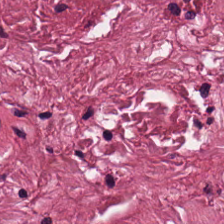Stain: hematoxylin-and-eosin stained section.
Tile size: 224×224 px patch.
Tissue class: tumor stroma.
